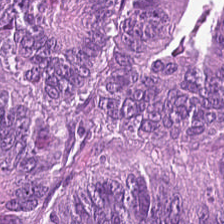H&E-stained tissue section; FFPE — Tissue type — adenocarcinoma.
